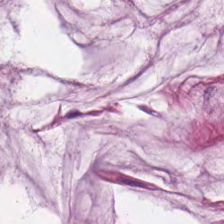{"tissue_type": "mucin"}
